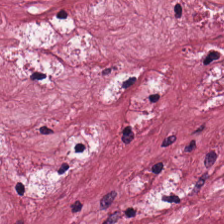{"tissue_type": "tumor stroma"}
